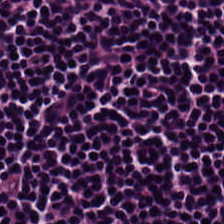The tissue here is lymphocytic infiltrate.
